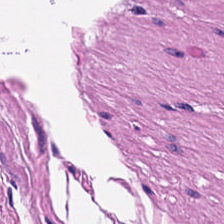H&E. 0.5 µm per pixel. Q: What is shown in this field?
A: Smooth muscle.
